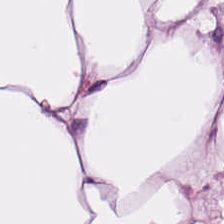H&E stain — Predominantly adipose.
